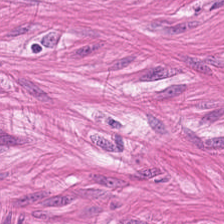Tissue — muscularis.
